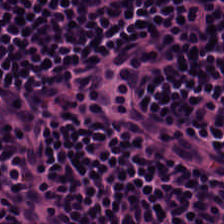Stain: hematoxylin-and-eosin stained section.
Predominant tissue: lymphoid infiltrate.
